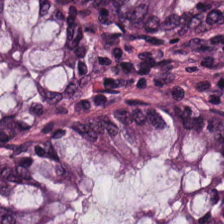224×224 px tile · H&E stain. The tissue class is benign colonic mucosa.
